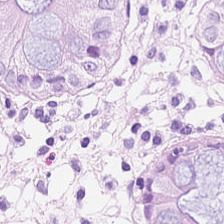H&E stain. Benign colonic mucosa.
